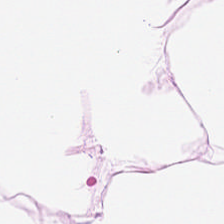H&E. 224×224 pixel tile. Formalin-fixed paraffin-embedded section — This patch shows fat tissue.
